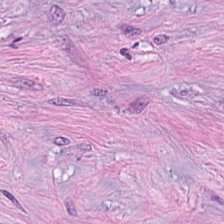H&E stain. Classification — tumor stroma.
